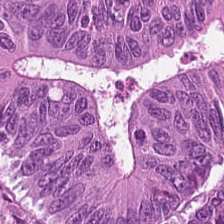Brightfield microscopy. Hematoxylin-and-eosin stained section — The predominant tissue is colorectal adenocarcinoma epithelium.
